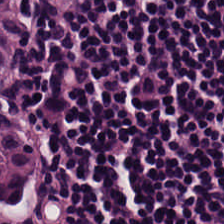H&E stain. Q: What does this patch show?
A: The field shows lymphocytes.
